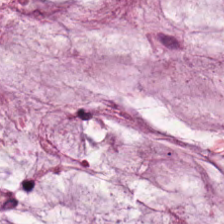H&E. 0.5 µm/px — Tissue class — mucin.
